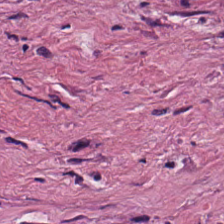H&E stain. 224×224 pixel tile — Classification — cancer-associated stroma.
